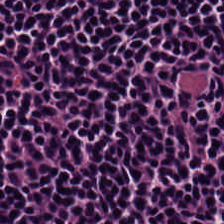{"tissue_type": "lymphoid infiltrate"}
